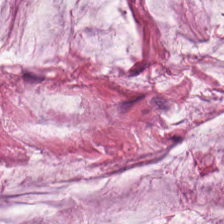WSI patch · hematoxylin-and-eosin stained section — Tissue class — extracellular mucin.
